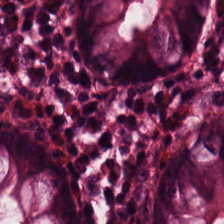H&E-stained tissue section — Predominantly non-neoplastic colon mucosa.
